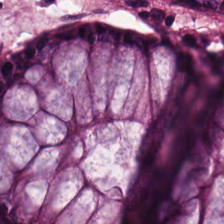H&E. The predominant tissue is non-neoplastic colon mucosa.
